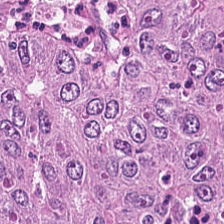FFPE · H&E stain — Tissue = colorectal adenocarcinoma epithelium.
